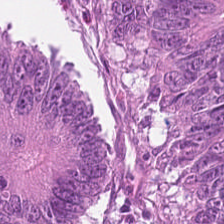Formalin-fixed paraffin-embedded section; 20× equivalent magnification; H&E.
Tissue class — adenocarcinoma.
